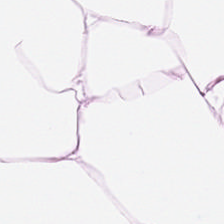Hematoxylin and eosin. FFPE.
The tissue class is adipose tissue.
